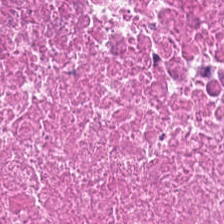224×224 pixel tile. H&E-stained tissue section.
Predominantly necrotic debris.
